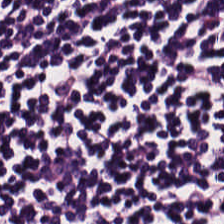Hematoxylin-and-eosin stained section — Q: What is shown here?
A: It is lymphocytes.
